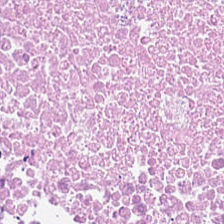Stain: H&E.
Predominant tissue: necrotic debris.
